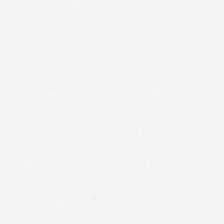H&E stain — Q: Classify this patch.
A: The field shows empty background.
